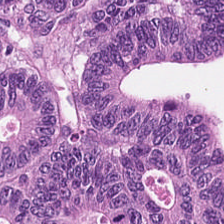H&E-stained tissue section. This field is malignant epithelium.
